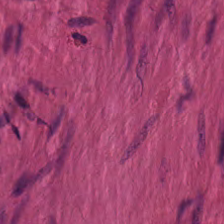H&E-stained tissue section. Q: What is shown in this field?
A: It is smooth muscle.
